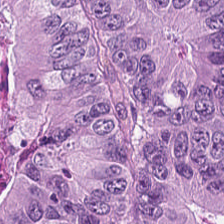Stain: hematoxylin and eosin.
Acquisition: WSI patch.
Preparation: FFPE tissue section.
Predominant tissue: adenocarcinoma.
